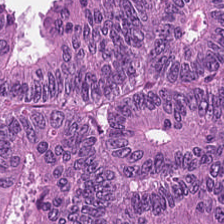Hematoxylin and eosin. 0.5 µm/px. This patch shows malignant epithelium.
